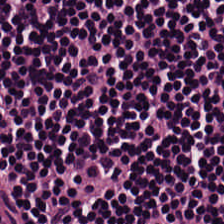Hematoxylin-and-eosin stained section · whole-slide-image patch.
Q: What is shown in this field?
A: Lymphocytes.
